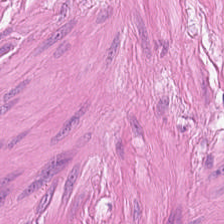H&E-stained tissue section. This field is muscularis.
